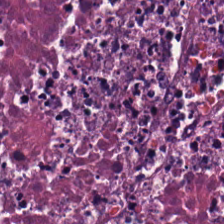224×224 pixel tile · hematoxylin and eosin — Q: Classify this patch.
A: This is necrotic debris.
